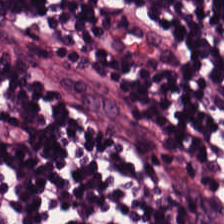224×224 px tile · H&E stain.
Tissue = lymphocyte aggregate.
